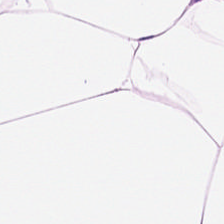Tissue: adipocytes.
